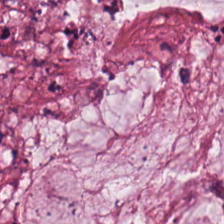WSI patch; hematoxylin-and-eosin stained section. Mucus.
